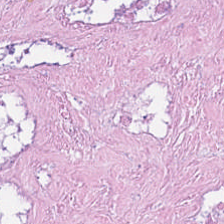H&E stain. The tissue class is necrotic debris.
